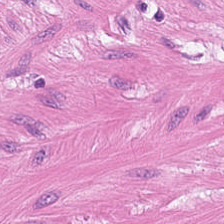H&E; 224×224 px tile. Q: What tissue is shown?
A: Smooth muscle.
